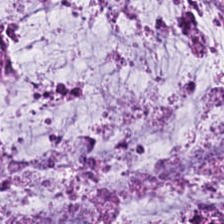Hematoxylin and eosin · 0.5 µm per pixel — Tissue = extracellular mucin.
